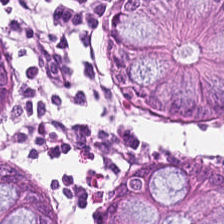20× equivalent magnification · hematoxylin and eosin · formalin-fixed paraffin-embedded section.
The tissue here is normal colon mucosa.
